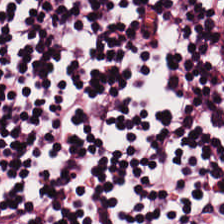Formalin-fixed paraffin-embedded section; hematoxylin-and-eosin stained section.
Tissue class — lymphocyte aggregate.
